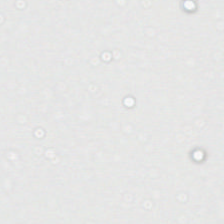WSI patch · hematoxylin and eosin · 224×224 px tile — This field is background (no tissue).
